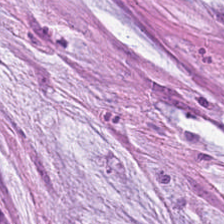Stain: H&E.
Tissue class: mucus.
